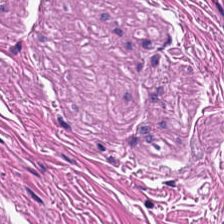Stain: H&E.
Tissue class: muscularis.
